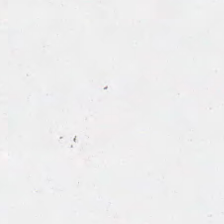H&E-stained tissue section. Whole-slide-image patch — Classification: background (no tissue).
